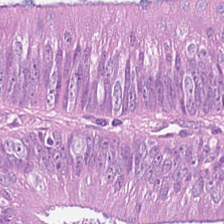Tissue type = colorectal adenocarcinoma.
